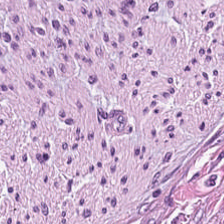0.5 µm per pixel · H&E.
Predominantly desmoplastic stroma.
